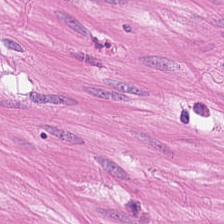0.5 microns per pixel. H&E. 224×224 pixel tile. This patch shows smooth-muscle tissue.
